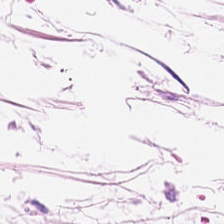H&E. Tissue = adipose tissue.
